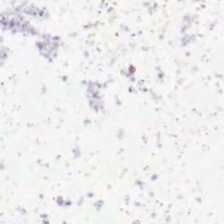The field content is empty background.
